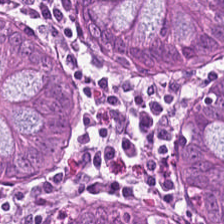FFPE tissue section · H&E.
Q: What is the predominant tissue type?
A: Normal colonic mucosa.
